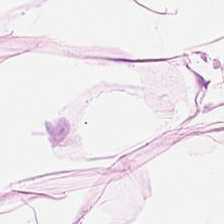Predominantly adipocytes.
